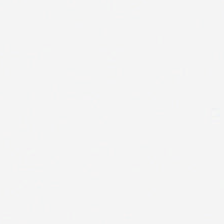Hematoxylin-and-eosin stained section — {"content": "no tissue"}
